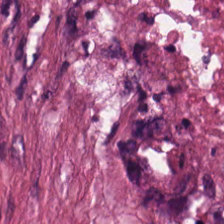H&E stain. Predominant tissue — debris.
